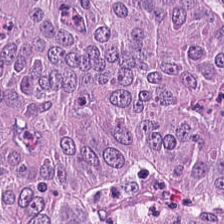Histology → colorectal adenocarcinoma epithelium.
